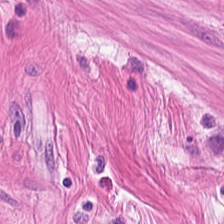Stain: hematoxylin-and-eosin stained section.
Tissue: smooth muscle.
